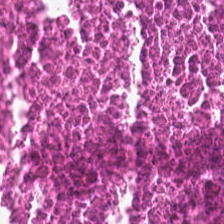224×224 pixel tile. H&E. Predominant tissue = necrotic debris.
